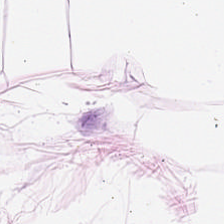H&E-stained tissue section showing adipocytes.
